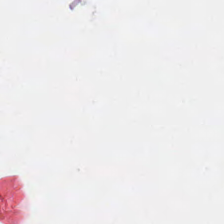Hematoxylin-and-eosin stained section; FFPE.
Finding — background (no tissue).
